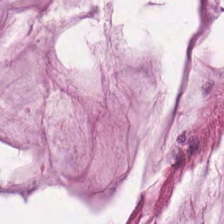H&E-stained tissue section.
{"tissue_type": "extracellular mucin"}
